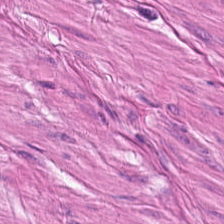Hematoxylin-and-eosin stained section; FFPE tissue section — This field is smooth-muscle tissue.
